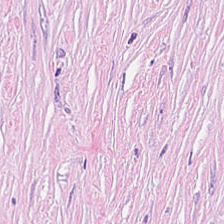Hematoxylin and eosin.
Tissue class — cancer-associated stroma.
